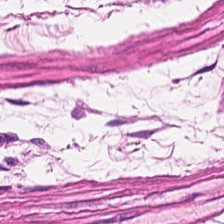Formalin-fixed paraffin-embedded section. 0.5 µm/px. Hematoxylin-and-eosin stained section. Q: What tissue is shown?
A: This is muscularis.
